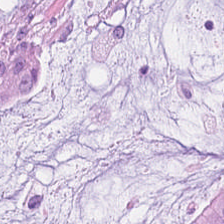Stain: H&E-stained tissue section.
Tissue type: mucin.
